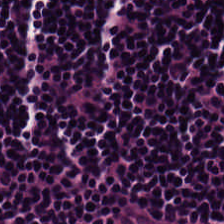Hematoxylin-and-eosin stained section.
Finding — lymphocyte aggregate.
